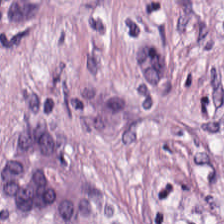Hematoxylin and eosin — This patch shows cancer-associated stroma.
